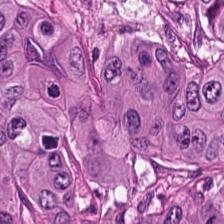224×224 px tile. H&E.
Q: What does this patch show?
A: The field shows malignant epithelium.
